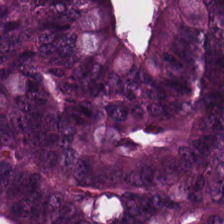Histology — malignant epithelium.
